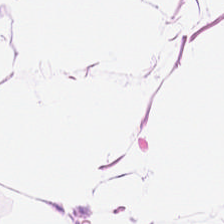Hematoxylin-and-eosin stained section — Adipose.
